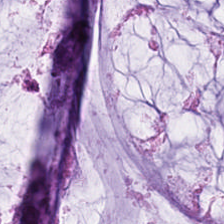Predominant tissue = mucus.
